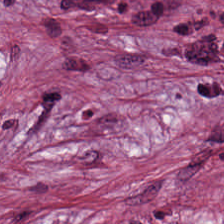Tissue — tumor stroma.
